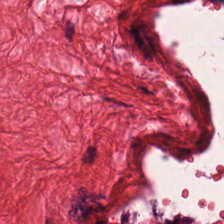H&E-stained tissue section; FFPE. This field is smooth-muscle tissue.
